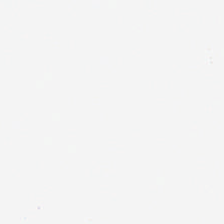Impression → no tissue.
